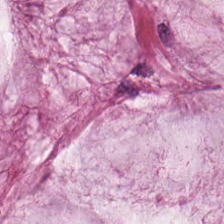H&E stain; whole-slide-image patch — Tissue: mucin.
